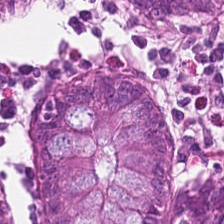Benign colonic mucosa.
